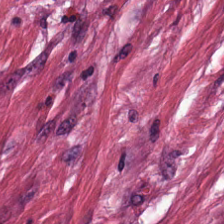Stain: hematoxylin and eosin.
Predominant tissue: tumor-associated stroma.
